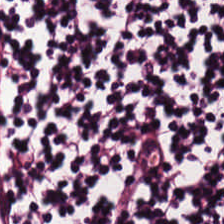Stain: H&E-stained tissue section.
Classification: lymphocytic infiltrate.
